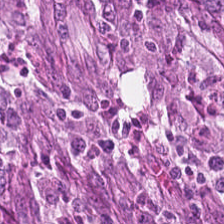Hematoxylin-and-eosin stained section; 224×224 px patch. Q: What does this patch show?
A: This is colorectal adenocarcinoma epithelium.
